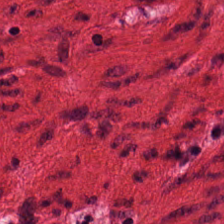H&E stain.
Q: What tissue is shown?
A: Smooth muscle.
